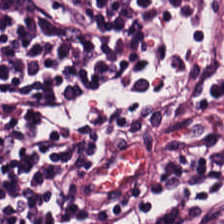H&E stain. FFPE. Finding — lymphocyte aggregate.
